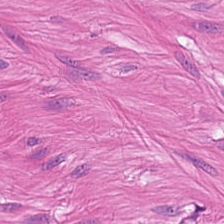Tissue class: muscularis.
